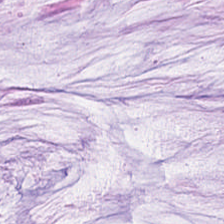The predominant tissue is extracellular mucin.
